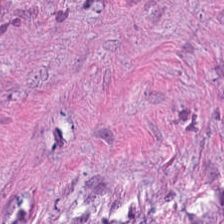Stain: H&E-stained tissue section.
Tissue: cancer-associated stroma.
